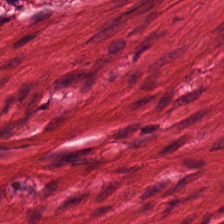FFPE tissue section · H&E stain.
{"tissue_type": "muscularis"}
